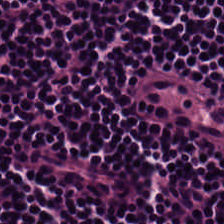Hematoxylin-and-eosin stained section; 224×224 pixel tile. Tissue class — lymphocytic infiltrate.
